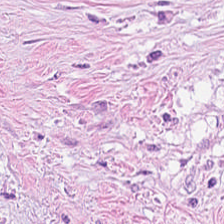Histology — tumor-associated stroma.
